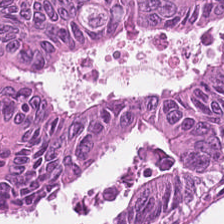Formalin-fixed paraffin-embedded section. H&E-stained tissue section — The tissue class is adenocarcinoma.
